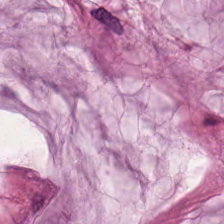H&E stain — {"tissue_type": "mucin"}
